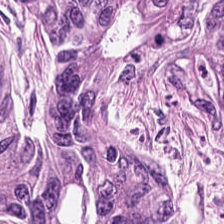H&E-stained tissue section. 0.5 microns per pixel. Brightfield microscopy — Impression → tumor epithelium.
